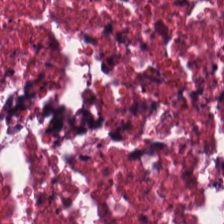0.5 µm per pixel · formalin-fixed paraffin-embedded section · H&E stain.
The tissue here is cellular debris.
